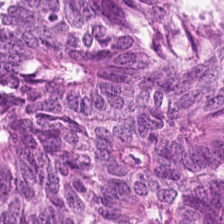H&E — This patch shows colorectal adenocarcinoma epithelium.
